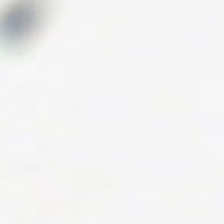Hematoxylin and eosin. No tissue present; background only.
